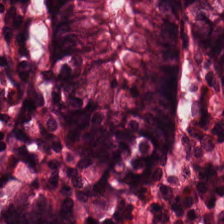H&E-stained tissue section; formalin-fixed paraffin-embedded section; 0.5 µm/px. Classification — normal colon mucosa.
